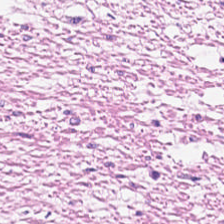H&E-stained tissue section. Finding → smooth muscle.
